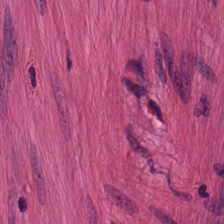WSI patch; H&E-stained tissue section; 0.5 µm per pixel — Classification = smooth-muscle tissue.
